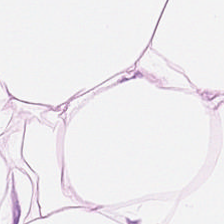Classification: adipose tissue.
